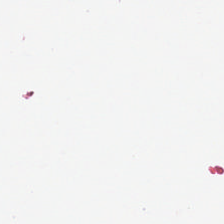224×224 pixel tile. H&E. WSI patch — Q: What does this patch show?
A: Background.
